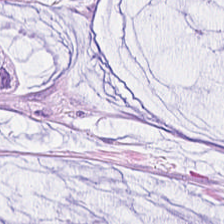H&E-stained tissue section. {"tissue_type": "mucin"}
